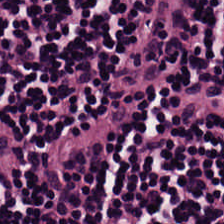H&E. Lymphoid infiltrate.
